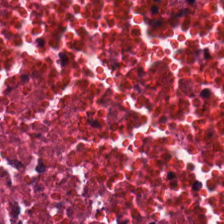Hematoxylin and eosin — Q: Identify the tissue.
A: Cellular debris.
